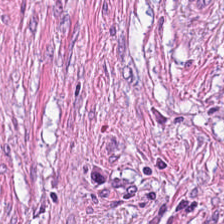{"tissue_type": "tumor stroma"}
